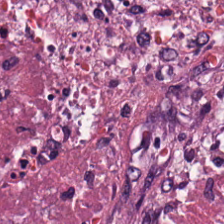H&E stain · formalin-fixed paraffin-embedded section. Q: What is shown here?
A: It is necrotic debris.
